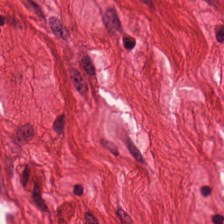Hematoxylin and eosin; WSI patch; 224×224 px patch. Q: What does this patch show?
A: This is smooth-muscle tissue.
